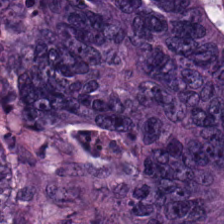224×224 px patch. H&E stain — Tissue class = colorectal adenocarcinoma epithelium.
